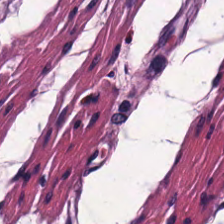Stain: H&E.
Resolution: 0.5 µm per pixel.
Predominant tissue: muscularis.
